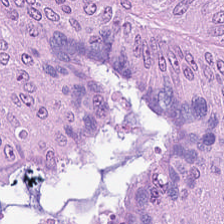H&E — Q: What type of tissue is this?
A: This is colorectal adenocarcinoma.
